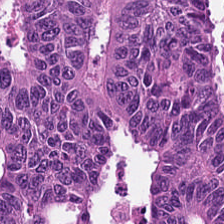Whole-slide-image patch. Hematoxylin-and-eosin stained section. Histology → tumor epithelium.
